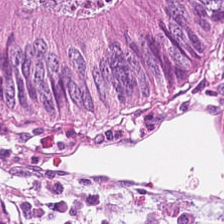Hematoxylin and eosin. Q: Classify this patch.
A: The field shows colorectal adenocarcinoma epithelium.
